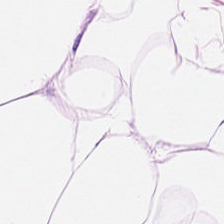FFPE tissue section. H&E. 0.5 µm/px. Predominantly fat tissue.
